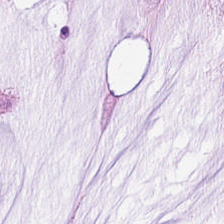Tissue type: mucus.
